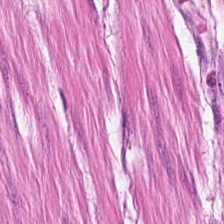H&E patch showing smooth muscle.
